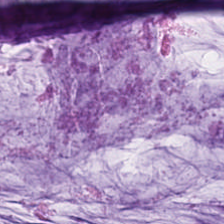224×224 px tile; H&E-stained tissue section. Finding — mucin.
